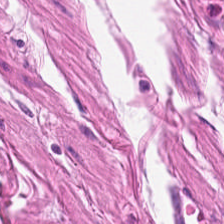H&E — Showing smooth-muscle tissue.
